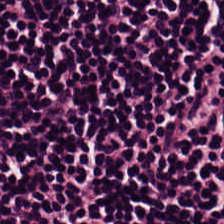Stain: hematoxylin-and-eosin stained section.
Predominant tissue: lymphocytic infiltrate.
